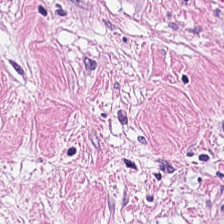H&E. Brightfield. This field is cancer-associated stroma.
